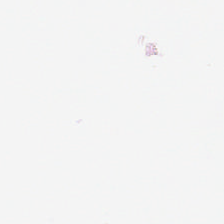Stain: H&E.
Content: no tissue.
